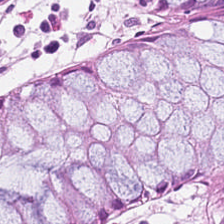Hematoxylin and eosin — {"tissue_type": "non-neoplastic colon mucosa"}
